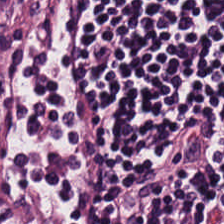Q: What does this patch show?
A: This is lymphocyte aggregate.
